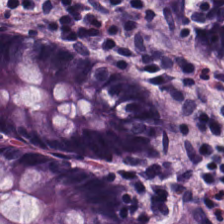H&E-stained tissue section. Finding — benign colonic mucosa.
